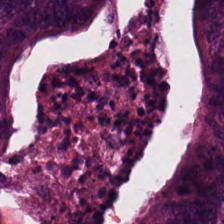Brightfield microscopy. Hematoxylin-and-eosin stained section.
Malignant epithelium.
